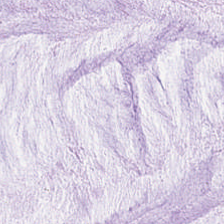The tissue is mucin.
